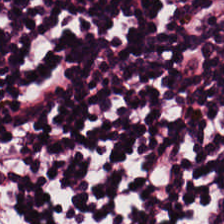H&E · 0.5 microns per pixel · FFPE tissue section. {"tissue_type": "lymphoid infiltrate"}
